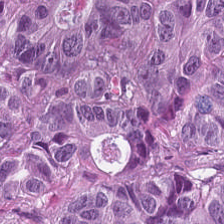The tissue here is colorectal adenocarcinoma epithelium.
